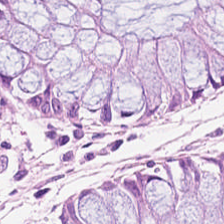Hematoxylin and eosin. Predominantly non-neoplastic colon mucosa.
